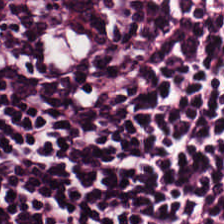H&E-stained tissue section — The tissue here is lymphocytic infiltrate.
